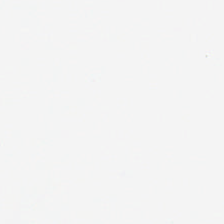Formalin-fixed paraffin-embedded section · hematoxylin-and-eosin stained section. Content = no tissue.
